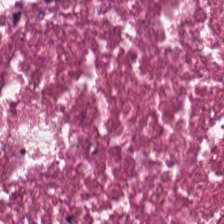Hematoxylin and eosin. The tissue here is necrotic debris.
